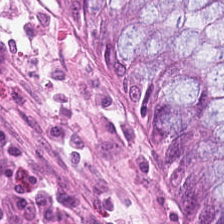Hematoxylin-and-eosin section: normal colon mucosa.
